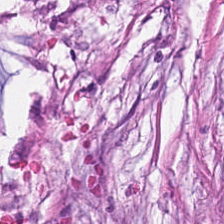Hematoxylin-and-eosin stained section. 0.5 µm/px. WSI patch. This patch shows tumor stroma.
